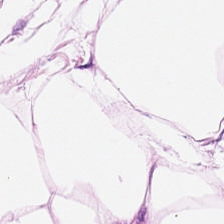H&E-stained tissue section — Predominantly fat tissue.
